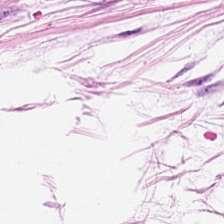H&E stain. 0.5 µm per pixel — The classification is fat tissue.
